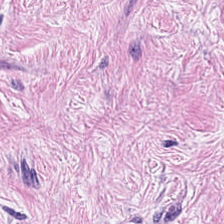Hematoxylin-and-eosin stained section. 0.5 µm per pixel. 224×224 px patch — Predominantly desmoplastic stroma.
